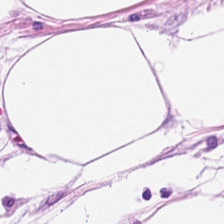H&E stain. The predominant tissue is adipocytes.
